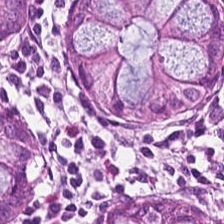224×224 px tile · H&E-stained tissue section. Finding — non-neoplastic colon mucosa.
